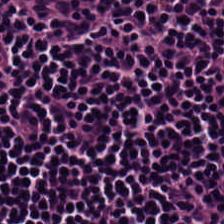Hematoxylin and eosin; WSI patch.
Showing lymphoid infiltrate.
